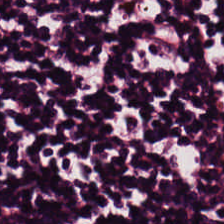Hematoxylin-and-eosin section: lymphocyte aggregate.
